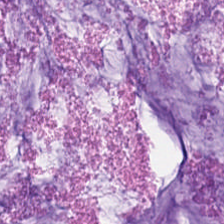224×224 pixel tile · hematoxylin-and-eosin stained section · formalin-fixed paraffin-embedded section — Tissue class: mucin.
